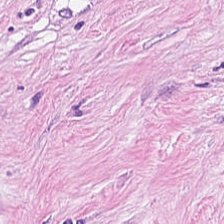Hematoxylin-and-eosin stained section.
This field is desmoplastic stroma.
